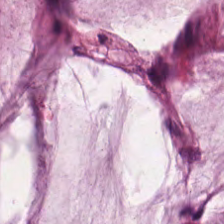Showing mucin.
